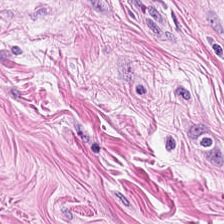0.5 microns per pixel. Hematoxylin-and-eosin stained section. The predominant tissue is muscularis.
